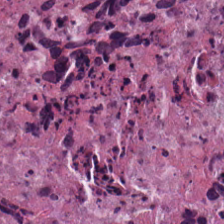Hematoxylin-and-eosin stained section. Q: What does this patch show?
A: Necrotic debris.
